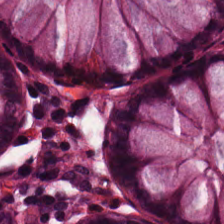Q: What tissue type is shown here?
A: This is non-neoplastic colon mucosa.
